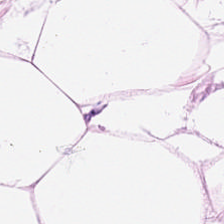Hematoxylin and eosin. 224×224 pixel tile. This field is adipose.
